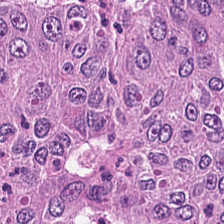H&E stain. The predominant tissue is colorectal adenocarcinoma epithelium.
